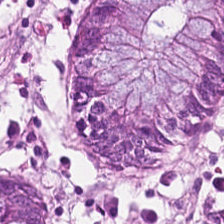Hematoxylin and eosin. Q: What is shown in this field?
A: Benign colonic mucosa.
